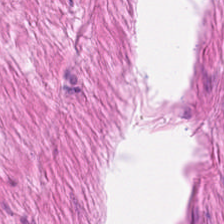Predominant tissue — muscularis.
